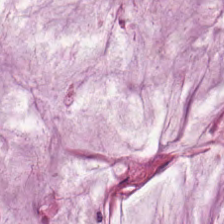Stain: H&E.
Tissue class: mucus.
